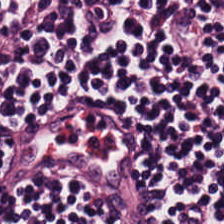H&E-stained tissue section. Lymphoid infiltrate.
